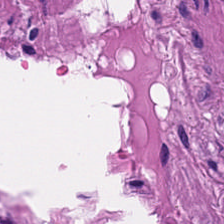H&E-stained tissue section — {"tissue_type": "smooth-muscle tissue"}
